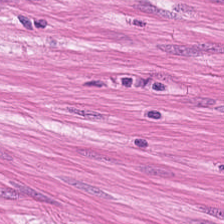FFPE tissue section · hematoxylin-and-eosin stained section · 224×224 px tile. {"tissue_type": "smooth muscle"}
